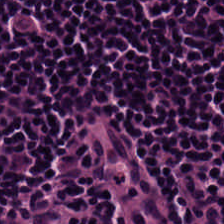H&E; 224×224 px tile.
The tissue here is lymphocytic infiltrate.
